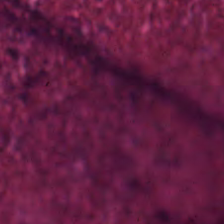Hematoxylin-and-eosin section: cellular debris.
